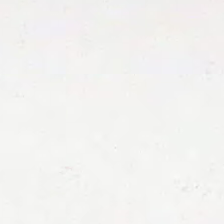Hematoxylin-and-eosin stained section. FFPE tissue section. Brightfield microscopy — The field content is empty background.
